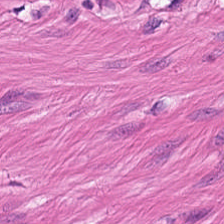Stain: H&E stain.
Tissue: smooth-muscle tissue.
